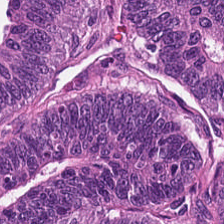Predominant tissue — adenocarcinoma.
